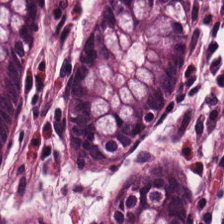Brightfield microscopy; H&E stain.
Q: What is the predominant tissue type?
A: Non-neoplastic colon mucosa.
